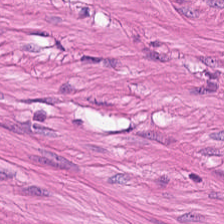H&E stain · 224×224 pixel tile.
{"tissue_type": "smooth muscle"}
